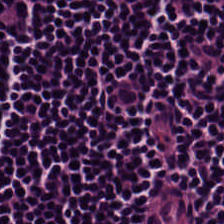Showing lymphocytic infiltrate.
